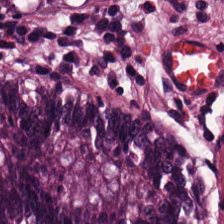H&E-stained tissue section.
The predominant tissue is normal colonic mucosa.
